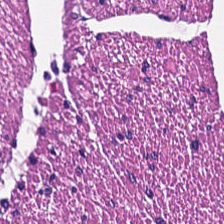H&E-stained tissue section; FFPE tissue section — Q: What tissue is shown?
A: Smooth muscle.
